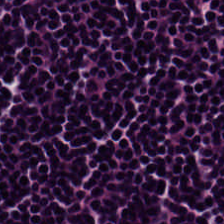H&E stain. 224×224 px patch. Formalin-fixed paraffin-embedded section — Classification — lymphocytes.
